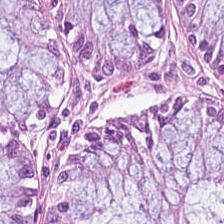Finding — normal colonic mucosa.
